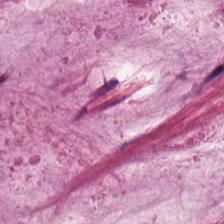20× equivalent magnification; 224×224 pixel tile; H&E — The classification is mucus.
